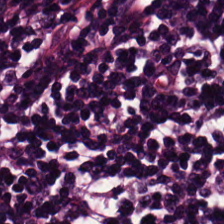H&E stain; brightfield microscopy — Tissue class — lymphocyte aggregate.
